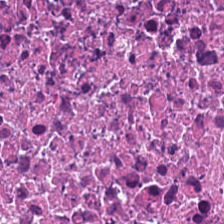Formalin-fixed paraffin-embedded section; H&E.
The tissue class is debris.
